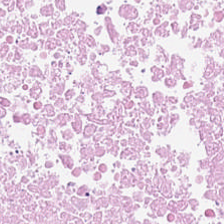Brightfield microscopy; hematoxylin-and-eosin stained section. Cellular debris.
